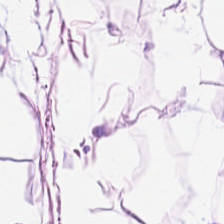H&E patch showing adipose tissue.
